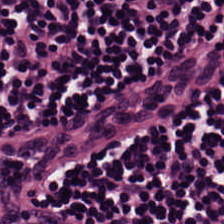H&E-stained tissue section. This patch shows lymphocytic infiltrate.
